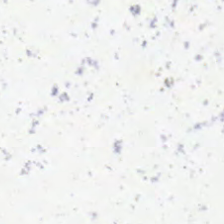Hematoxylin and eosin — Background — no tissue in this field.
